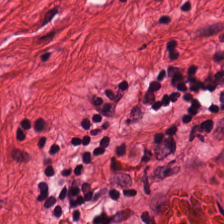Tissue class: smooth muscle.
